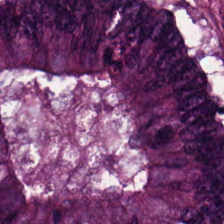The predominant tissue is colorectal adenocarcinoma epithelium.
